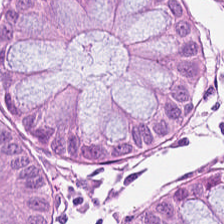Impression — non-neoplastic colon mucosa.
